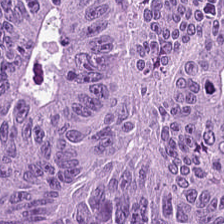20× equivalent magnification; hematoxylin and eosin. The predominant tissue is colorectal adenocarcinoma.
